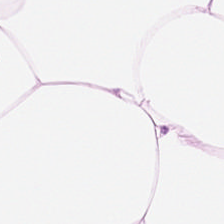Q: What tissue type is shown here?
A: Adipose.
